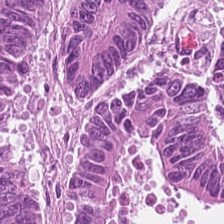Stain: H&E-stained tissue section.
Tile size: 224×224 pixel tile.
Tissue class: colorectal adenocarcinoma epithelium.
